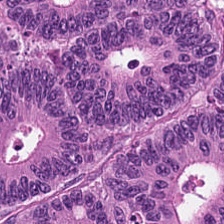H&E.
Showing colorectal adenocarcinoma.
